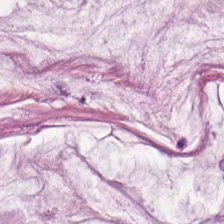H&E — mucus.
